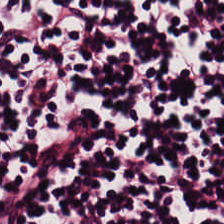Hematoxylin and eosin. The tissue class is lymphocyte aggregate.
